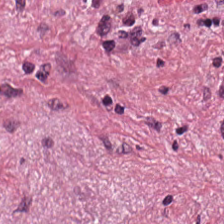H&E. Q: What is the predominant tissue type?
A: It is cancer-associated stroma.
